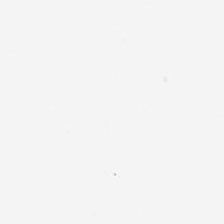Stain: H&E-stained tissue section.
Resolution: 0.5 µm/px.
Field content: no tissue.
